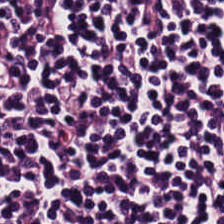H&E.
Predominant tissue — lymphocytic infiltrate.
